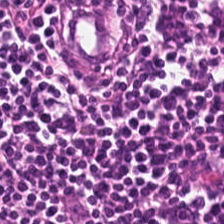Hematoxylin-and-eosin stained section.
Predominantly lymphocytes.
